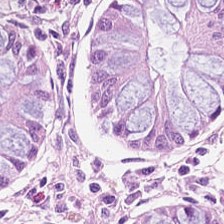H&E-stained tissue section. Formalin-fixed paraffin-embedded section. Q: What type of tissue is this?
A: This is normal colon mucosa.
